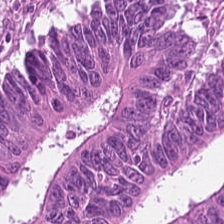Hematoxylin and eosin — Histology → colorectal adenocarcinoma.
